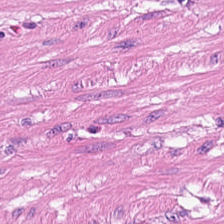H&E-stained tissue section — The tissue type is muscularis.
